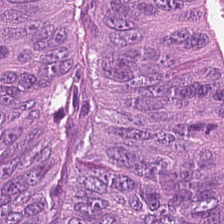H&E. The classification is tumor epithelium.
